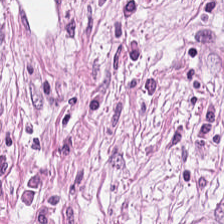Hematoxylin-and-eosin stained section — Q: What is the predominant tissue type?
A: It is tumor stroma.
